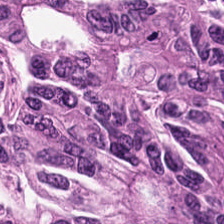Tissue type = tumor epithelium.
